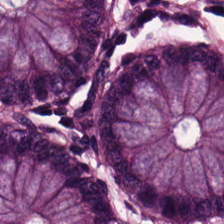WSI patch; hematoxylin-and-eosin stained section; 20× equivalent magnification.
Q: What is shown here?
A: Normal colon mucosa.
